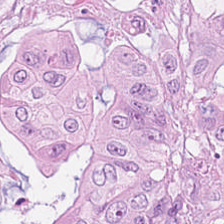H&E stain. The tissue here is tumor epithelium.
